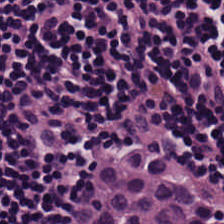Hematoxylin-and-eosin stained section.
Q: What does this patch show?
A: This is lymphocytic infiltrate.
